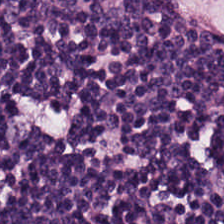H&E stain. {"tissue_type": "lymphoid infiltrate"}
